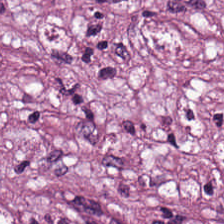H&E — tumor stroma.
